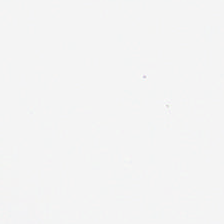H&E stain.
Background — no tissue in this field.
